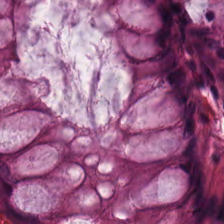The classification is normal colon mucosa.
